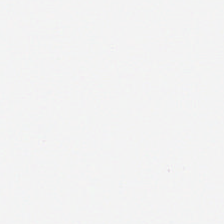H&E — Q: What is shown here?
A: This is no tissue.
